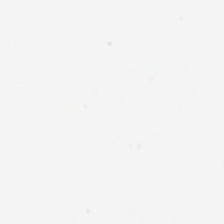No tissue.
